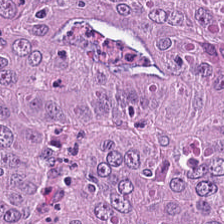Hematoxylin-and-eosin stained section. 224×224 px patch — The predominant tissue is colorectal adenocarcinoma.
